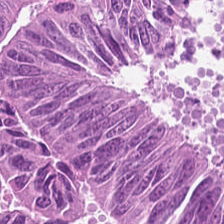Hematoxylin and eosin. Formalin-fixed paraffin-embedded section. Brightfield microscopy.
Q: What is shown here?
A: This is colorectal adenocarcinoma epithelium.
